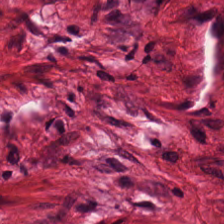H&E. Muscularis.
